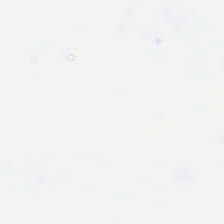Hematoxylin and eosin — Classification = background (no tissue).
